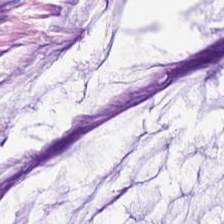Q: What is the predominant tissue type?
A: It is extracellular mucin.
